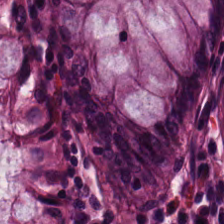H&E stain. Tissue class — normal colon mucosa.
